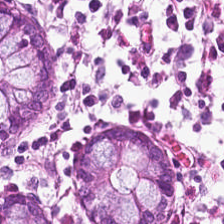Hematoxylin-and-eosin stained section. Predominantly normal colonic mucosa.
